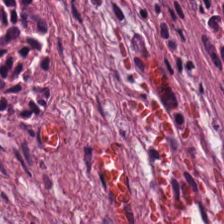Stain: hematoxylin-and-eosin stained section.
Tissue class: desmoplastic stroma.
